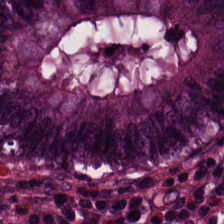H&E. Tissue type — normal colon mucosa.
